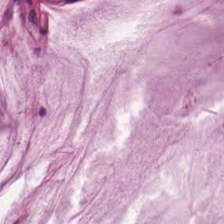H&E stain — {"tissue_type": "mucin"}
